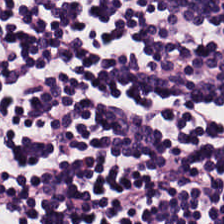Histology → lymphocytes.
